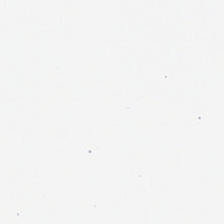224×224 px patch · hematoxylin and eosin.
Q: What does this patch show?
A: This is no tissue.
